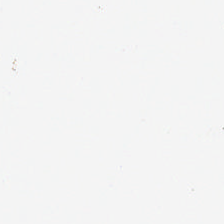Hematoxylin-and-eosin stained section; FFPE tissue section — Field content = background (no tissue).
